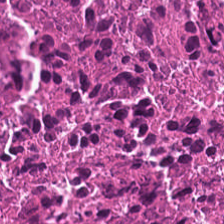Brightfield microscopy · hematoxylin-and-eosin stained section · formalin-fixed paraffin-embedded section.
Showing cellular debris.
